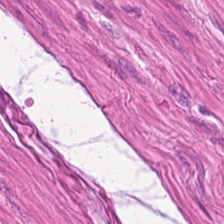Hematoxylin and eosin. Formalin-fixed paraffin-embedded section. 0.5 µm/px — Q: What tissue type is shown here?
A: The field shows smooth-muscle tissue.
